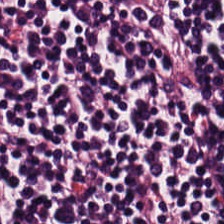Tissue type — lymphocytes.
